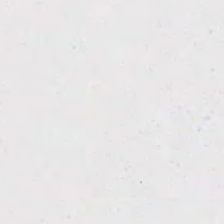H&E-stained tissue section.
Classification — empty background.
